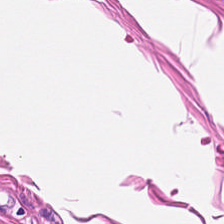Hematoxylin-and-eosin section: smooth muscle.
